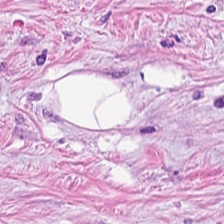WSI patch · H&E stain. This patch shows cancer-associated stroma.
